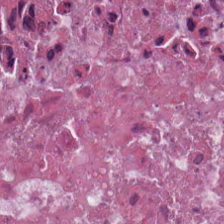Formalin-fixed paraffin-embedded section. H&E. Whole-slide-image patch. The tissue class is debris.
